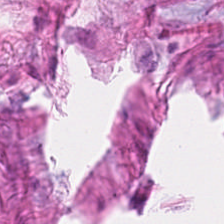Brightfield · hematoxylin-and-eosin stained section · 224×224 px patch. Q: What is shown here?
A: Tumor stroma.
